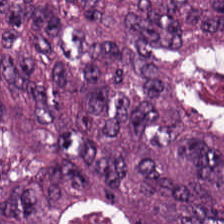Stain: hematoxylin-and-eosin stained section.
Tile size: 224×224 px patch.
Tissue type: colorectal adenocarcinoma epithelium.
